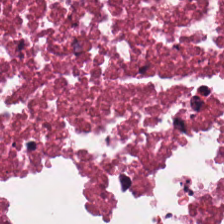224×224 pixel tile. H&E-stained tissue section. FFPE tissue section. {"tissue_type": "cellular debris"}
